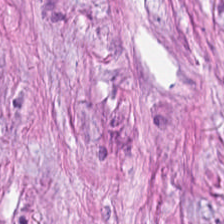Hematoxylin-and-eosin stained section. This patch shows desmoplastic stroma.
